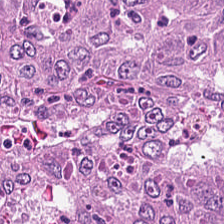H&E. Q: Identify the tissue.
A: Malignant epithelium.
